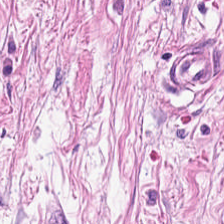Hematoxylin-and-eosin stained section.
Classification: cancer-associated stroma.
